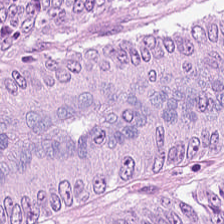Q: Identify the tissue.
A: This is colorectal adenocarcinoma epithelium.
